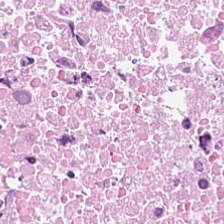Hematoxylin-and-eosin stained section. Brightfield microscopy.
The predominant tissue is debris.
